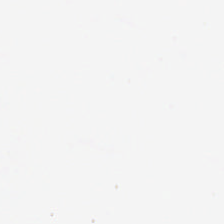0.5 microns per pixel · brightfield · hematoxylin and eosin.
This patch shows empty background.
